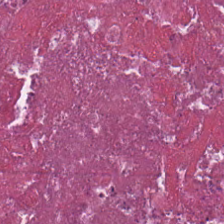Formalin-fixed paraffin-embedded section; H&E stain; 224×224 px patch.
This patch shows debris.
